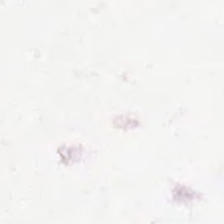Background.
